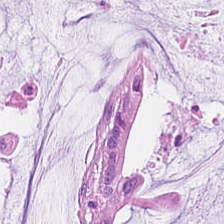Brightfield · H&E stain · 224×224 px tile.
This field is mucin.
